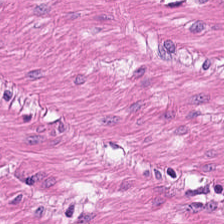Hematoxylin and eosin — The tissue is smooth muscle.
